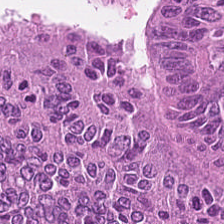H&E. Formalin-fixed paraffin-embedded section. 224×224 pixel tile.
Histology — malignant epithelium.
